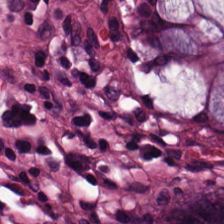0.5 µm per pixel. H&E.
The predominant tissue is normal colonic mucosa.
